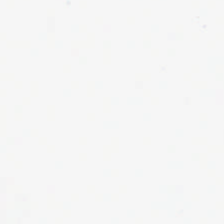Brightfield microscopy; H&E-stained tissue section; 224×224 px patch.
Background (no tissue).
